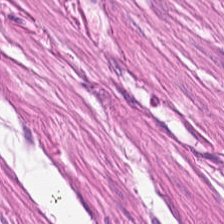Tissue class: smooth muscle.
